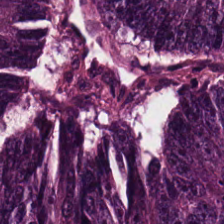Whole-slide-image patch. H&E stain. Formalin-fixed paraffin-embedded section. Showing malignant epithelium.
